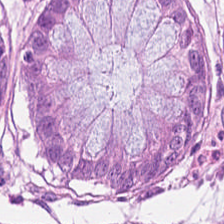Formalin-fixed paraffin-embedded section · H&E.
This field is non-neoplastic colon mucosa.
